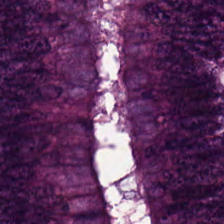H&E stain; brightfield microscopy; formalin-fixed paraffin-embedded section.
Q: What is shown in this field?
A: It is colorectal adenocarcinoma epithelium.
